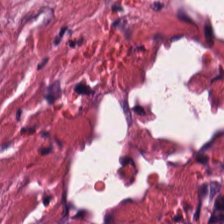0.5 µm per pixel · WSI patch · H&E — Predominantly tumor-associated stroma.
